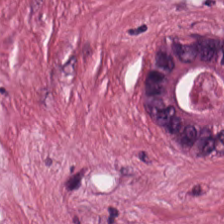Stain: hematoxylin-and-eosin stained section.
Tissue: desmoplastic stroma.
